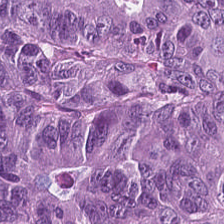20× equivalent magnification; hematoxylin-and-eosin stained section; FFPE tissue section — Classification: tumor epithelium.
